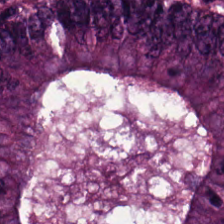H&E-stained tissue section.
Q: Classify this patch.
A: Tumor epithelium.
